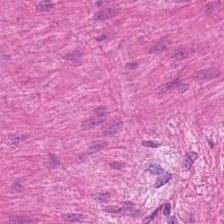WSI patch; hematoxylin-and-eosin stained section. Smooth muscle.
